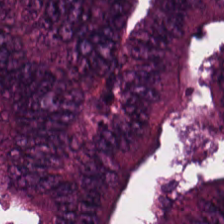Hematoxylin and eosin · FFPE tissue section — Tissue: adenocarcinoma.
